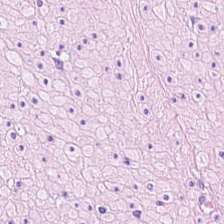H&E stain — Finding — smooth-muscle tissue.
